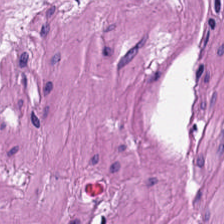H&E stain; brightfield.
Histology → smooth-muscle tissue.
